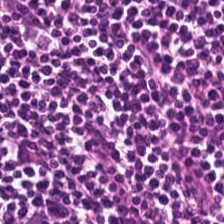0.5 µm per pixel; hematoxylin-and-eosin stained section — This field is lymphocyte aggregate.
